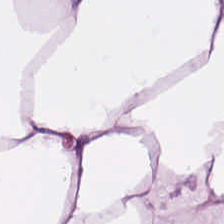0.5 µm per pixel · H&E · FFPE tissue section — Classification — adipose.
